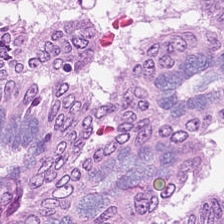H&E · WSI patch · formalin-fixed paraffin-embedded section. This patch shows colorectal adenocarcinoma.
